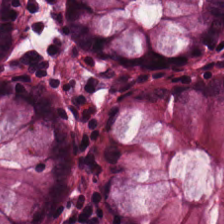Hematoxylin and eosin · WSI patch.
Tissue class: benign colonic mucosa.
